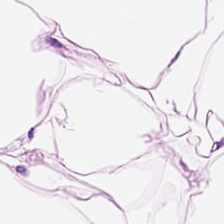H&E-stained tissue section · 224×224 px patch · FFPE tissue section — Showing adipocytes.
